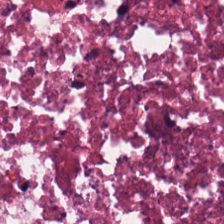H&E stain.
The tissue here is necrotic debris.
